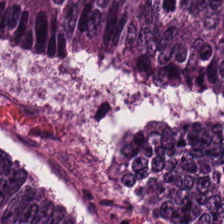H&E · 224×224 px tile · 20× equivalent magnification. Q: What does this patch show?
A: The field shows malignant epithelium.
